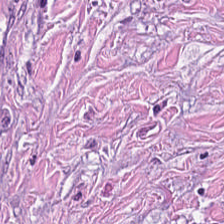224×224 px tile; H&E. The tissue type is tumor-associated stroma.
